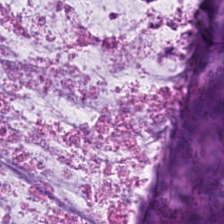This field is mucin.
